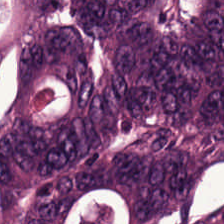Hematoxylin-and-eosin stained section.
Finding — colorectal adenocarcinoma epithelium.
